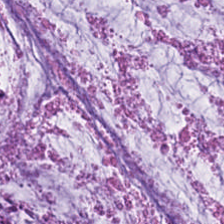224×224 px tile. Hematoxylin and eosin — Q: What does this patch show?
A: This is extracellular mucin.
